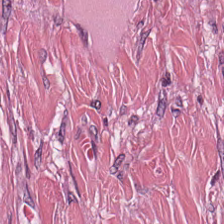FFPE. H&E-stained tissue section — Cancer-associated stroma.
